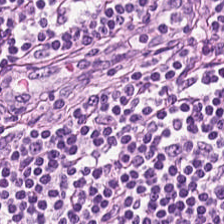H&E stain; 224×224 px tile; FFPE tissue section — Q: Classify this patch.
A: The field shows lymphocyte aggregate.
